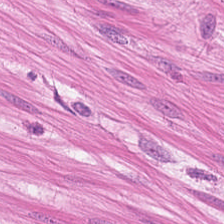224×224 px tile; H&E.
The tissue here is smooth muscle.
